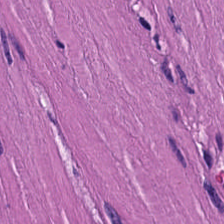224×224 px tile; hematoxylin-and-eosin stained section. Tissue: smooth muscle.
